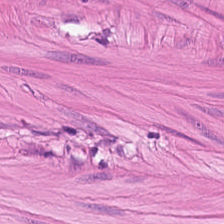Brightfield microscopy. 0.5 microns per pixel. H&E stain.
Q: Classify this patch.
A: This is smooth muscle.
